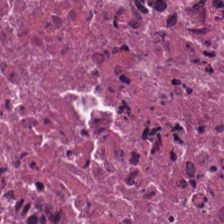Brightfield; hematoxylin-and-eosin stained section; 20× equivalent magnification — Predominantly necrotic debris.
